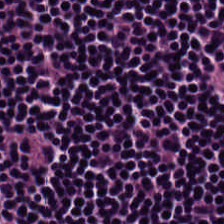H&E stain · FFPE. Lymphocyte aggregate.
